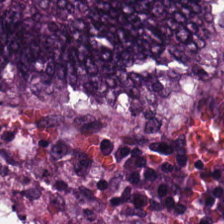H&E. Colorectal adenocarcinoma.
